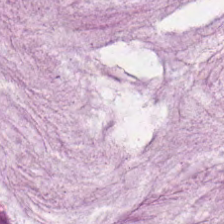Finding — mucus.
